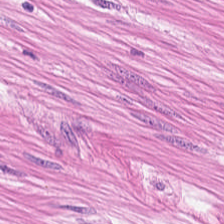0.5 µm/px; hematoxylin-and-eosin stained section — Q: What is the predominant tissue type?
A: The field shows smooth-muscle tissue.
